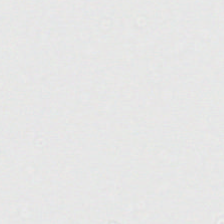H&E stain · FFPE — Q: What is shown here?
A: It is no tissue.
